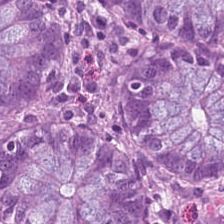H&E patch showing benign colonic mucosa.
